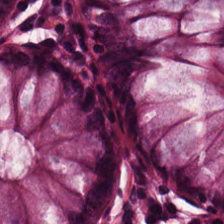Tissue type: normal colon mucosa.
